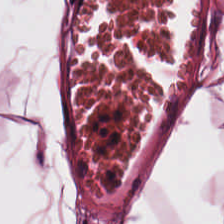Finding → adipocytes.
